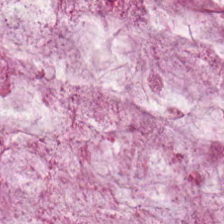Predominant tissue — extracellular mucin.
